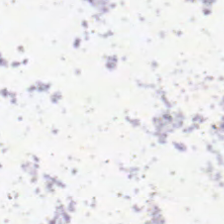Formalin-fixed paraffin-embedded section · H&E-stained tissue section.
Q: What is shown here?
A: It is empty background.
